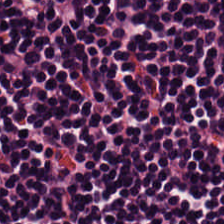Hematoxylin and eosin — Impression — lymphoid infiltrate.
